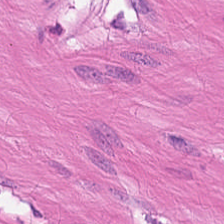Tissue type — muscularis.
